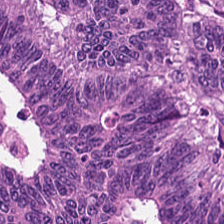224×224 px patch; H&E stain; formalin-fixed paraffin-embedded section. This patch shows tumor epithelium.
